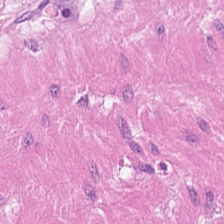Hematoxylin-and-eosin stained section. Predominant tissue — smooth-muscle tissue.
